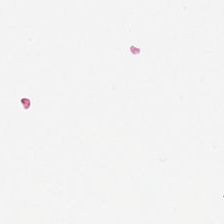Content = background (no tissue).
